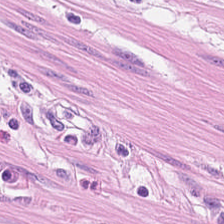224×224 px tile. Whole-slide-image patch. Hematoxylin-and-eosin stained section.
The predominant tissue is muscularis.
